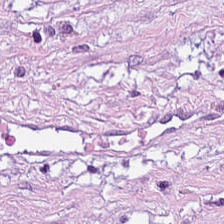Tissue type: tumor stroma.
